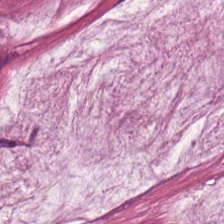Hematoxylin and eosin.
Showing mucus.
